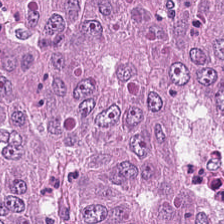H&E.
The tissue class is tumor epithelium.
